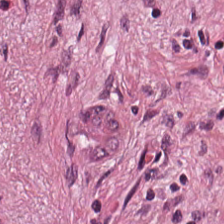Hematoxylin and eosin — Classification = cancer-associated stroma.
